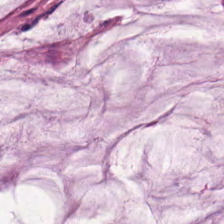The tissue is mucin.
